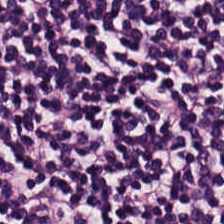Hematoxylin-and-eosin stained section. Q: What tissue is shown?
A: It is lymphocytic infiltrate.
